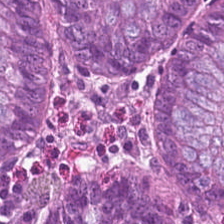H&E-stained tissue section showing non-neoplastic colon mucosa.
